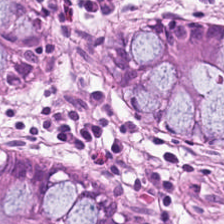224×224 px patch · H&E-stained tissue section. Finding → non-neoplastic colon mucosa.
